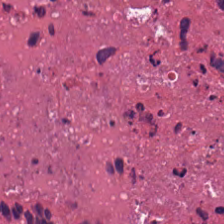Hematoxylin-and-eosin stained section.
Tissue class = cellular debris.
